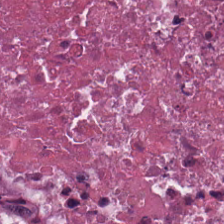20× equivalent magnification. Hematoxylin and eosin. 224×224 pixel tile — Tissue type = necrotic debris.
